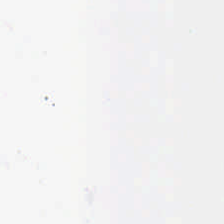Hematoxylin-and-eosin stained section. Impression → background (no tissue).
